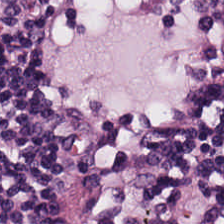Hematoxylin and eosin. Tissue = lymphocyte aggregate.
